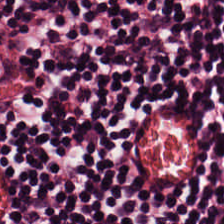Stain: H&E stain.
Predominant tissue: lymphocytic infiltrate.
